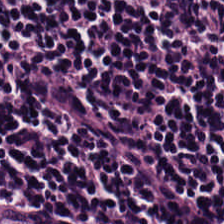Hematoxylin and eosin — The tissue type is lymphocyte aggregate.
